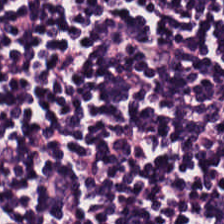Hematoxylin and eosin.
Q: What is the predominant tissue type?
A: This is lymphocyte aggregate.
